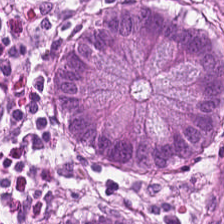Brightfield microscopy; hematoxylin-and-eosin stained section.
Showing normal colonic mucosa.
